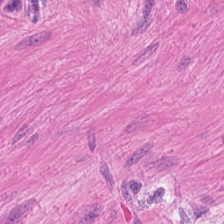224×224 px patch. 0.5 µm per pixel. H&E-stained tissue section. Smooth muscle.
